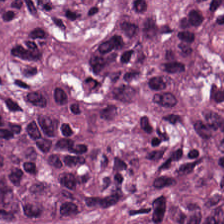0.5 µm per pixel; H&E stain. Q: What type of tissue is this?
A: It is tumor epithelium.
